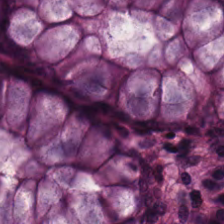H&E stain; 224×224 px tile — Histology → non-neoplastic colon mucosa.
